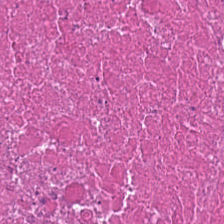H&E.
Histology — debris.
